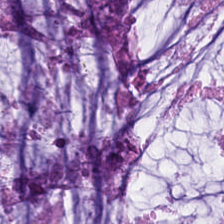{"tissue_type": "extracellular mucin"}
